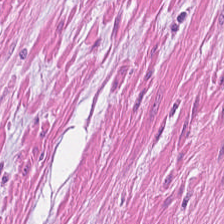Hematoxylin and eosin. FFPE. 0.5 µm per pixel.
Predominantly smooth muscle.
